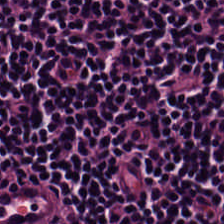Whole-slide-image patch · H&E. Finding — lymphocyte aggregate.
